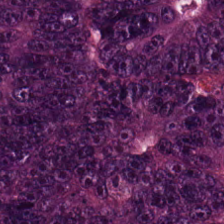224×224 px tile. H&E-stained tissue section. Showing colorectal adenocarcinoma.
